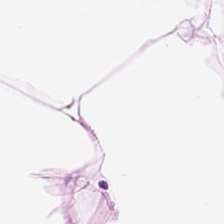Hematoxylin and eosin; WSI patch. Showing adipose.
